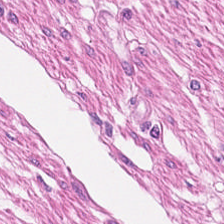224×224 px tile. Hematoxylin and eosin.
Tissue type: muscularis.
